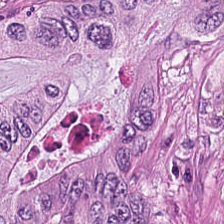Hematoxylin and eosin — Tissue: colorectal adenocarcinoma epithelium.
